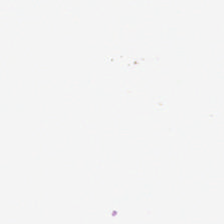FFPE. H&E. Classification — background.
